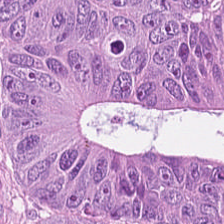H&E. Adenocarcinoma.
